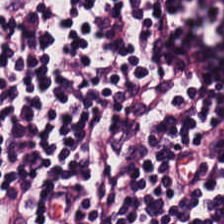H&E · WSI patch.
Tissue = lymphoid infiltrate.
